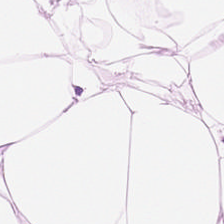224×224 px patch. H&E — Q: What tissue type is shown here?
A: It is adipocytes.
